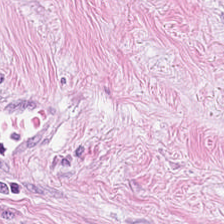0.5 µm per pixel. H&E-stained tissue section. Brightfield microscopy.
Tissue: desmoplastic stroma.
